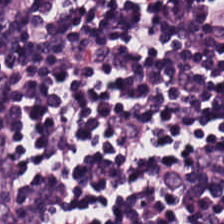H&E — Impression → lymphocyte aggregate.
